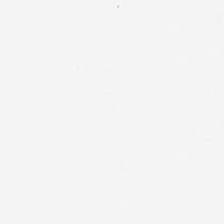H&E-stained tissue section. Finding — empty background.
